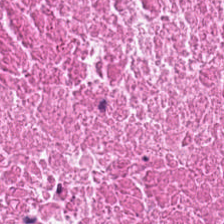Stain: hematoxylin and eosin.
Tissue type: debris.
